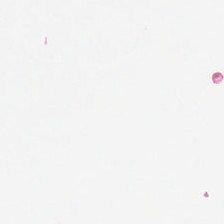Stain: H&E-stained tissue section.
Field content: background.
